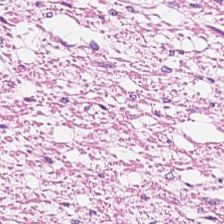H&E-stained tissue section.
Showing muscularis.
